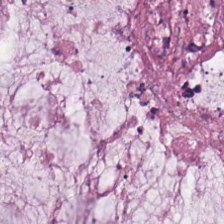Impression → mucus.
